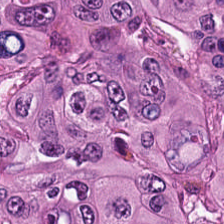The tissue here is colorectal adenocarcinoma.
